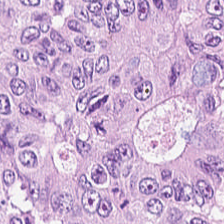FFPE tissue section. Hematoxylin and eosin. Tissue type — tumor epithelium.
